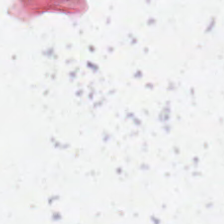Stain: H&E-stained tissue section.
Field content: background (no tissue).
